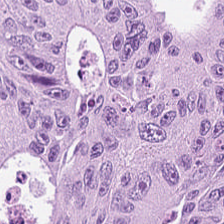H&E-stained section; the field shows malignant epithelium.
